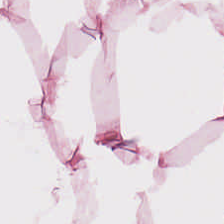H&E — Predominantly adipose tissue.
